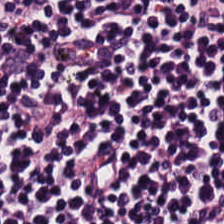Hematoxylin and eosin. 0.5 microns per pixel. FFPE tissue section.
The classification is lymphoid infiltrate.
